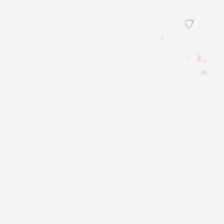H&E-stained tissue section. 224×224 px patch. 0.5 µm/px — No tissue.
